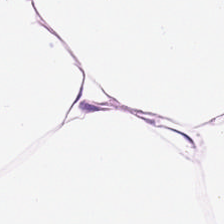H&E patch showing adipose tissue.
